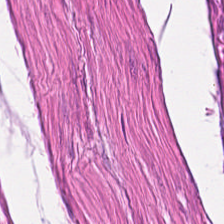Hematoxylin and eosin — The predominant tissue is muscularis.
